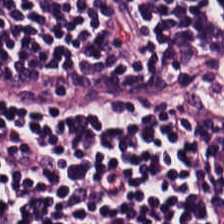Hematoxylin-and-eosin stained section; FFPE tissue section — Q: What tissue is shown?
A: It is lymphocyte aggregate.
